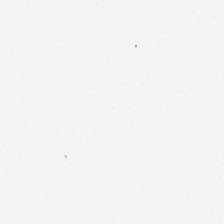Stain: hematoxylin and eosin.
Classification: background.
